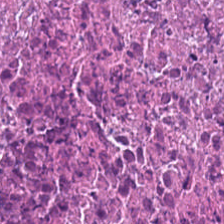H&E · formalin-fixed paraffin-embedded section.
Impression → cellular debris.
